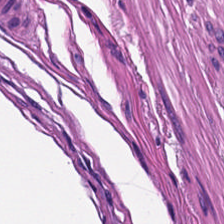Showing smooth-muscle tissue.
